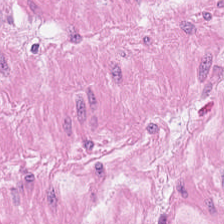Predominant tissue = muscularis.
